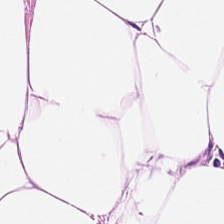Brightfield microscopy · 224×224 px patch · hematoxylin and eosin. Adipose tissue.
